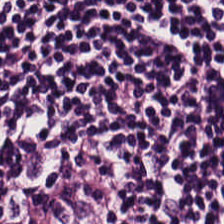H&E patch showing lymphocytes.
